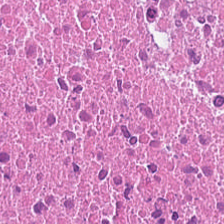Hematoxylin-and-eosin section: necrotic debris.
